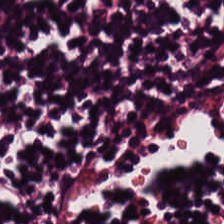224×224 px patch; FFPE tissue section; hematoxylin-and-eosin stained section. Q: What does this patch show?
A: This is lymphocyte aggregate.
